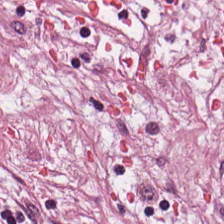Tumor stroma.
